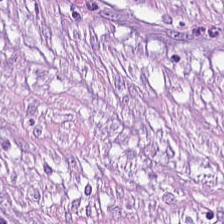H&E stain. The tissue here is tumor-associated stroma.
